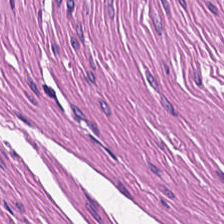Stain: H&E stain.
Tile size: 224×224 px tile.
Classification: smooth muscle.
